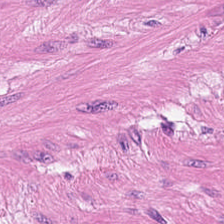20× equivalent magnification · brightfield · H&E-stained tissue section.
The tissue here is muscularis.
